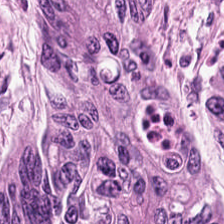Hematoxylin-and-eosin stained section; whole-slide-image patch.
Q: What type of tissue is this?
A: It is tumor epithelium.
